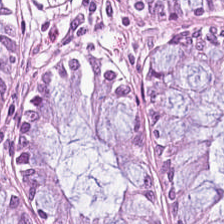Hematoxylin and eosin; FFPE tissue section; WSI patch.
This patch shows normal colonic mucosa.
